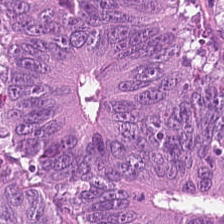Hematoxylin-and-eosin stained section · brightfield microscopy · formalin-fixed paraffin-embedded section. The tissue class is tumor epithelium.
